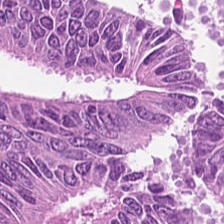0.5 µm per pixel. H&E-stained tissue section. This patch shows tumor epithelium.
